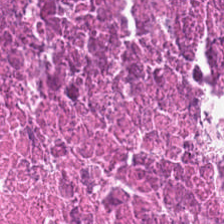224×224 px tile · H&E-stained tissue section. Histology — debris.
